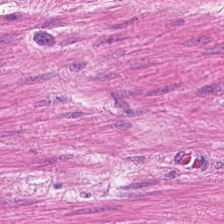Predominant tissue: smooth muscle.
